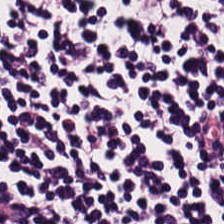0.5 µm per pixel. H&E-stained tissue section.
Classification: lymphocytes.
